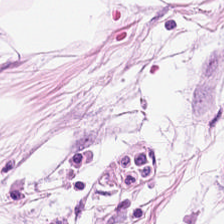FFPE tissue section; H&E; brightfield microscopy. Showing adipose tissue.
